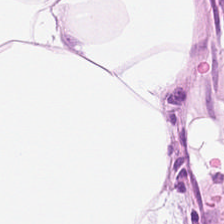20× equivalent magnification. 224×224 px tile. Hematoxylin and eosin.
Showing fat tissue.
